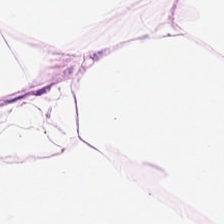Finding → adipose tissue.
